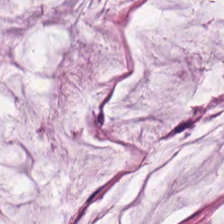Stain: H&E stain.
Tissue: extracellular mucin.
